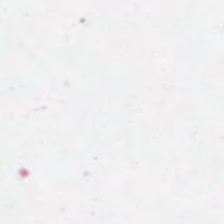H&E. 224×224 px patch — Impression — empty background.
